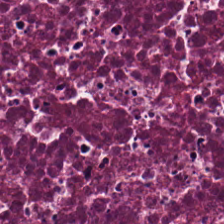Stain: H&E-stained tissue section.
Tissue type: necrotic debris.
